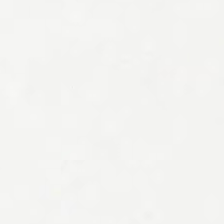Hematoxylin-and-eosin stained section — No tissue present; background only.
